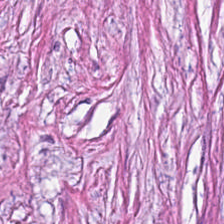Hematoxylin and eosin — This patch shows tumor-associated stroma.
